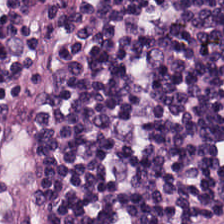Hematoxylin-and-eosin section: lymphocytic infiltrate.
